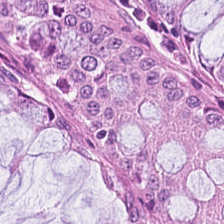The classification is non-neoplastic colon mucosa.
